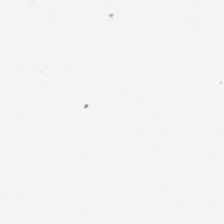H&E. The classification is background.
